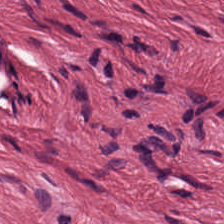0.5 microns per pixel · hematoxylin-and-eosin stained section · 224×224 px tile. Predominant tissue: cancer-associated stroma.
